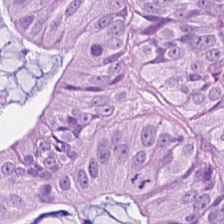The predominant tissue is colorectal adenocarcinoma epithelium.
